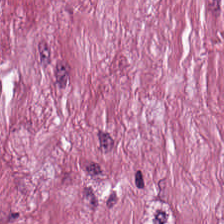Stain: hematoxylin and eosin.
Tile size: 224×224 px tile.
Acquisition: WSI patch.
Tissue type: tumor stroma.
